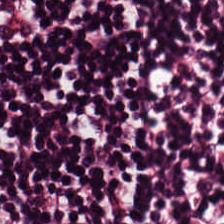H&E stain — The tissue class is lymphocytes.
